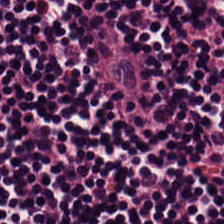H&E-stained tissue section — {"tissue_type": "lymphocytic infiltrate"}
